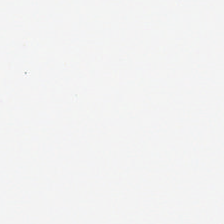Stain: H&E.
Resolution: 0.5 µm per pixel.
Content: no tissue.
